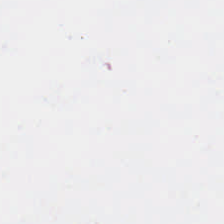H&E.
Field content: no tissue.
